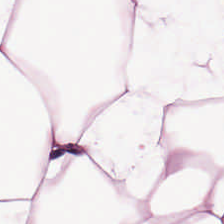H&E-stained tissue section.
Predominant tissue — fat tissue.
